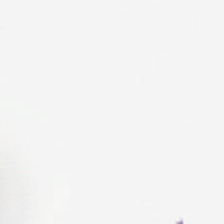Hematoxylin and eosin — Background — no tissue in this field.
